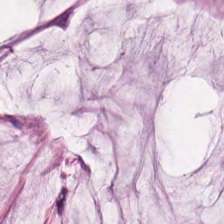Stain: hematoxylin and eosin.
Predominant tissue: mucin.
